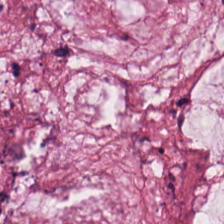Hematoxylin-and-eosin stained section; FFPE; brightfield.
Q: What tissue type is shown here?
A: The field shows mucus.
